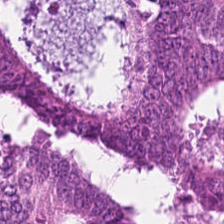H&E-stained tissue section — Tissue class = malignant epithelium.
